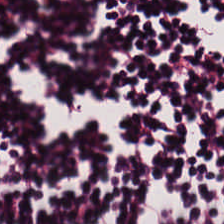The tissue class is lymphocyte aggregate.
